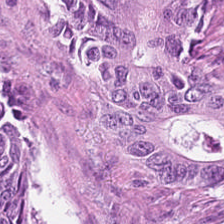0.5 µm/px. Hematoxylin-and-eosin stained section — Showing colorectal adenocarcinoma.
